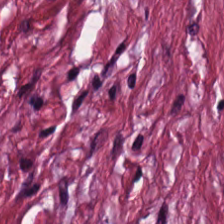Hematoxylin and eosin. Q: What tissue is shown?
A: It is desmoplastic stroma.
